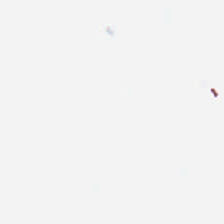Classification = no tissue.
